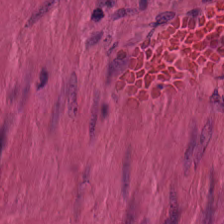H&E-stained tissue section — The predominant tissue is smooth muscle.
